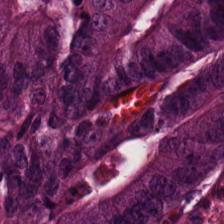H&E-stained tissue section; FFPE tissue section.
Colorectal adenocarcinoma epithelium.
